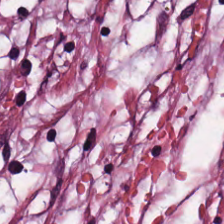Hematoxylin and eosin; FFPE tissue section; 224×224 px patch — Finding → cancer-associated stroma.
